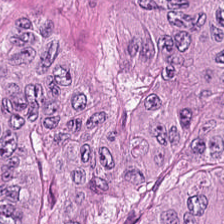H&E. 224×224 pixel tile. Tissue class = adenocarcinoma.
